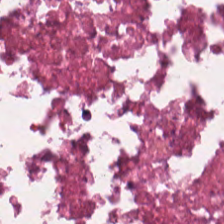Tissue = necrotic debris.
